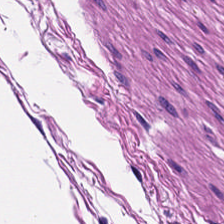Predominantly muscularis.
